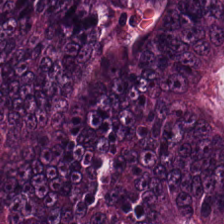Predominant tissue: malignant epithelium.
